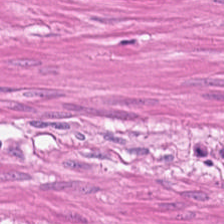Hematoxylin-and-eosin stained section. Formalin-fixed paraffin-embedded section.
This patch shows smooth-muscle tissue.
